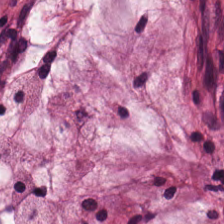H&E. 224×224 px patch. The predominant tissue is mucus.
